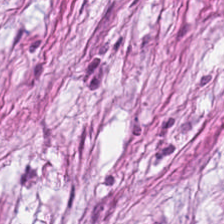Hematoxylin and eosin. This patch shows tumor stroma.
